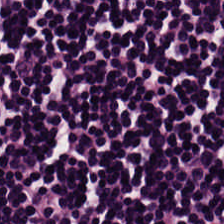Stain: H&E-stained tissue section.
Resolution: 0.5 µm per pixel.
Classification: lymphoid infiltrate.
